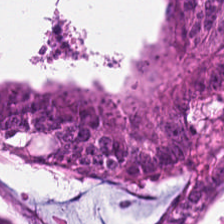Hematoxylin-and-eosin stained section · 0.5 µm/px · 224×224 px tile. Tissue type = colorectal adenocarcinoma epithelium.
